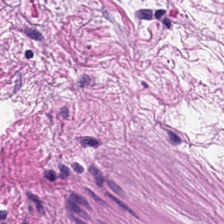H&E-stained tissue section. Muscularis.
